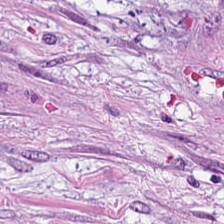20× equivalent magnification · H&E stain — Q: What type of tissue is this?
A: Tumor-associated stroma.
